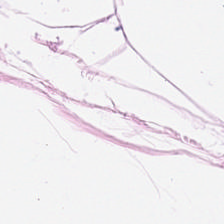Formalin-fixed paraffin-embedded section; H&E-stained tissue section — This field is fat tissue.
